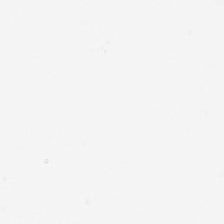The classification is background.
